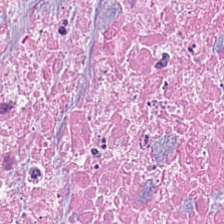H&E-stained section; the field shows necrotic debris.
